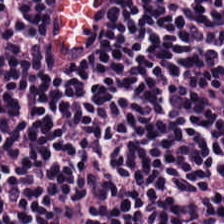WSI patch; hematoxylin and eosin.
This patch shows lymphocyte aggregate.
